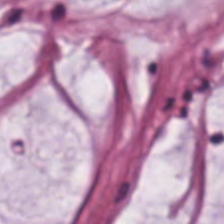H&E. Extracellular mucin.
